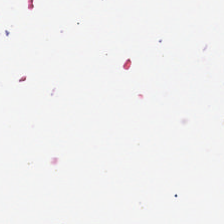H&E stain — Field content — background (no tissue).
